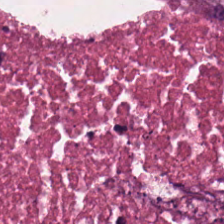20× equivalent magnification · formalin-fixed paraffin-embedded section · hematoxylin-and-eosin stained section — Predominantly debris.
